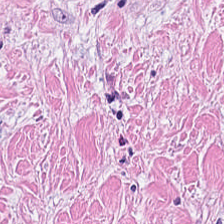H&E-stained tissue section. 20× equivalent magnification. Brightfield microscopy — The predominant tissue is tumor stroma.
